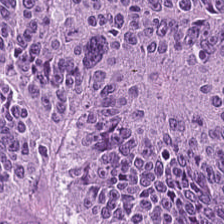Stain: hematoxylin-and-eosin stained section.
Acquisition: WSI patch.
Predominant tissue: adenocarcinoma.
